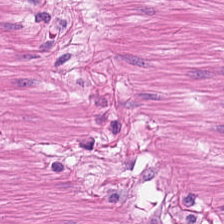H&E-stained tissue section. 224×224 px tile. Predominantly smooth muscle.
